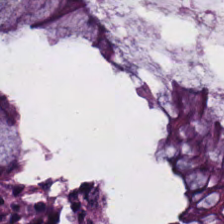Hematoxylin-and-eosin stained section.
Predominantly benign colonic mucosa.
